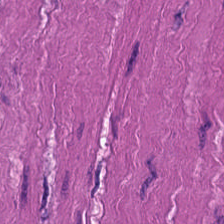Tissue class — smooth muscle.
